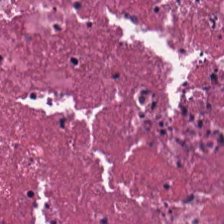Stain: H&E stain.
Tissue class: debris.
